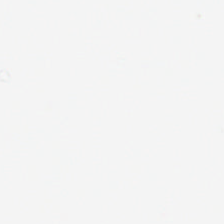H&E stain.
Field content — no tissue.
